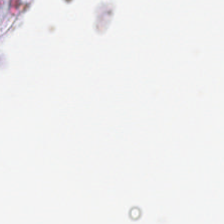H&E-stained tissue section. This field is background (no tissue).
